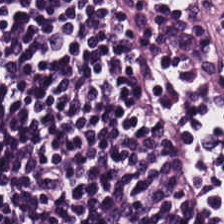WSI patch; H&E stain. Showing lymphocytic infiltrate.
